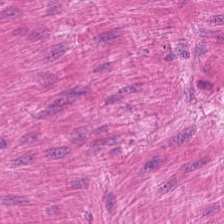H&E. This patch shows smooth muscle.
